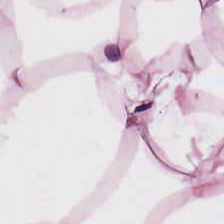H&E-stained tissue section — Predominantly adipose tissue.
